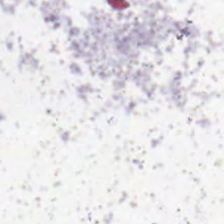H&E-stained tissue section. WSI patch — Q: What is shown here?
A: Background.
